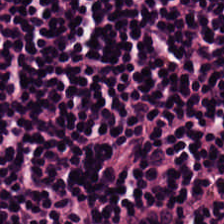Stain: hematoxylin and eosin.
Tissue type: lymphocytic infiltrate.
